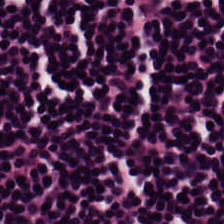Finding → lymphoid infiltrate.
